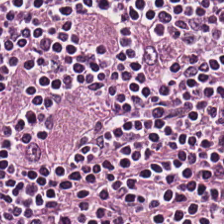H&E-stained tissue section. Brightfield microscopy. FFPE.
This field is lymphocytes.
